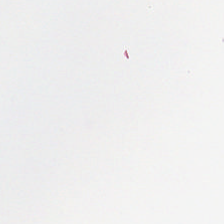Hematoxylin-and-eosin stained section; brightfield.
Background — no tissue in this field.
